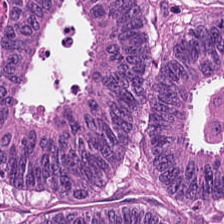Brightfield · 224×224 px patch · H&E-stained tissue section — Colorectal adenocarcinoma epithelium.
